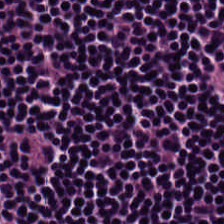Hematoxylin-and-eosin stained section · 224×224 px tile. Classification: lymphoid infiltrate.
